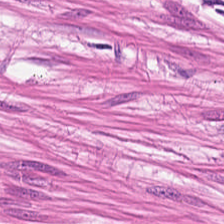Hematoxylin-and-eosin stained section.
This patch shows smooth muscle.
